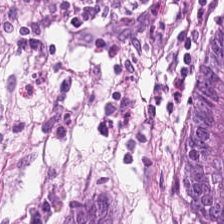224×224 px tile. FFPE. Hematoxylin-and-eosin stained section.
Tissue type = normal colon mucosa.
